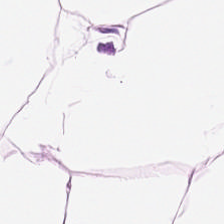H&E — Q: Identify the tissue.
A: It is fat tissue.
